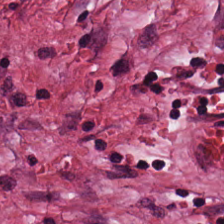H&E-stained tissue section. Tissue class = cancer-associated stroma.
